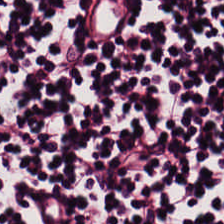H&E stain — Q: Identify the tissue.
A: The field shows lymphocyte aggregate.
